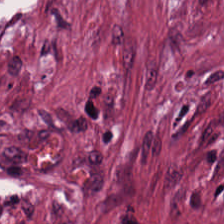Tissue = desmoplastic stroma.
